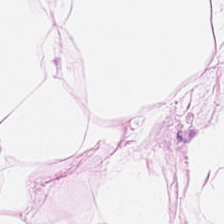Stain: H&E-stained tissue section.
Tissue: adipocytes.
